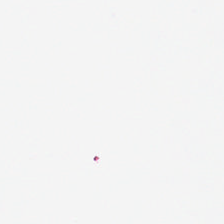Stain: hematoxylin-and-eosin stained section.
Resolution: 0.5 microns per pixel.
Field content: empty background.
